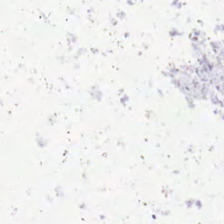224×224 pixel tile; FFPE tissue section; hematoxylin and eosin.
{"content": "background (no tissue)"}
